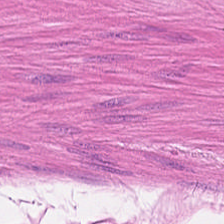{"tissue_type": "muscularis"}
